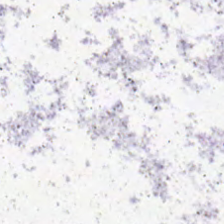0.5 µm/px; H&E stain. Finding → no tissue.
